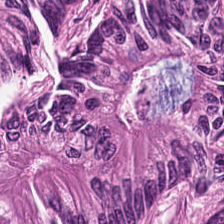Predominantly colorectal adenocarcinoma epithelium.
